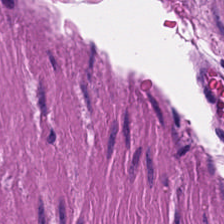H&E.
This field is muscularis.
